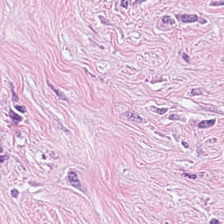Predominantly tumor-associated stroma.
